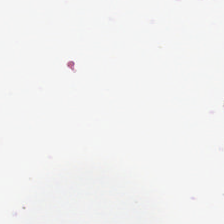Hematoxylin and eosin. Classification: background (no tissue).
